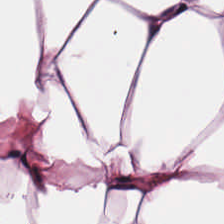Stain: hematoxylin and eosin.
Tile size: 224×224 pixel tile.
Resolution: 20× equivalent magnification.
Tissue type: adipose.
